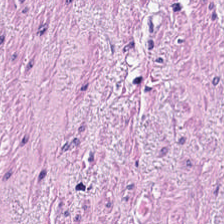224×224 px patch · H&E stain · whole-slide-image patch.
{"tissue_type": "smooth muscle"}
